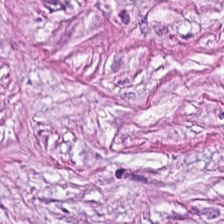0.5 µm per pixel · hematoxylin and eosin — Tissue class: tumor stroma.
